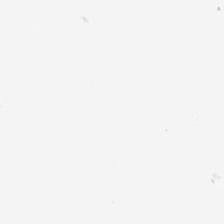Q: What is shown in this field?
A: The field shows background.
